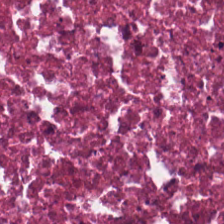Hematoxylin and eosin · FFPE.
Predominantly debris.
